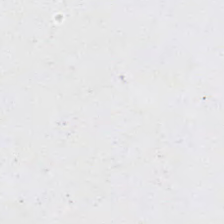Brightfield microscopy. H&E-stained tissue section — Q: What is shown in this field?
A: This is background (no tissue).
